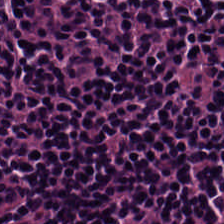Stain: hematoxylin-and-eosin stained section.
Tissue type: lymphoid infiltrate.
